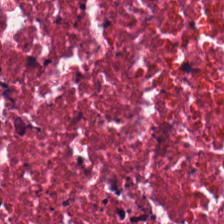Q: What is the predominant tissue type?
A: It is necrotic debris.
